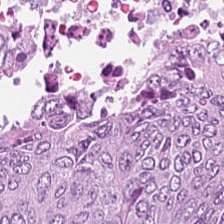Hematoxylin-and-eosin stained section. 20× equivalent magnification.
The tissue type is adenocarcinoma.
